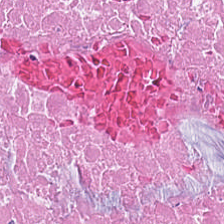H&E stain.
Tissue type: necrotic debris.
